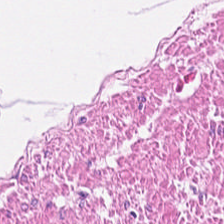Hematoxylin and eosin.
Finding → smooth muscle.
